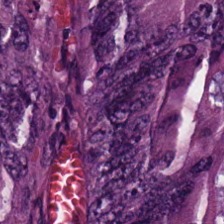Q: What tissue type is shown here?
A: The field shows colorectal adenocarcinoma.
